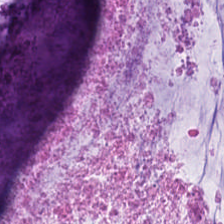Predominant tissue — extracellular mucin.
